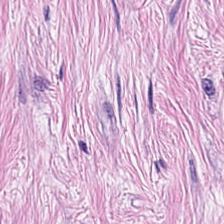224×224 px tile; H&E stain — Q: What type of tissue is this?
A: It is tumor-associated stroma.
